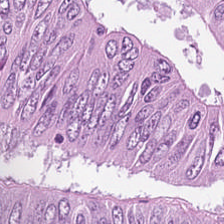FFPE; H&E stain.
The tissue here is tumor epithelium.
